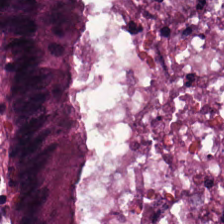224×224 px tile · hematoxylin-and-eosin stained section · 0.5 microns per pixel.
Histology — colorectal adenocarcinoma.
